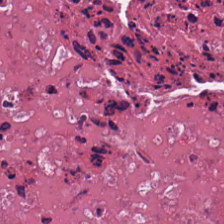Hematoxylin-and-eosin stained section. Tissue — debris.
